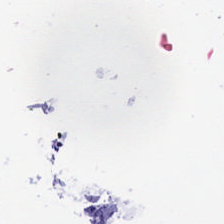Hematoxylin and eosin — Classification — background.
